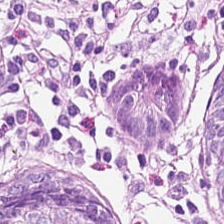H&E-stained tissue section — Tissue type = normal colonic mucosa.
